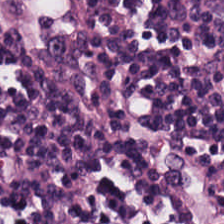Hematoxylin-and-eosin stained section. Classification: lymphoid infiltrate.
